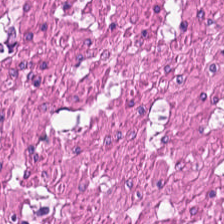H&E stain.
Q: What tissue type is shown here?
A: The field shows smooth muscle.
